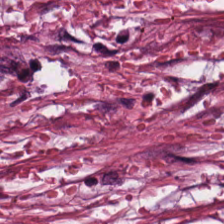Tissue class = tumor stroma.
